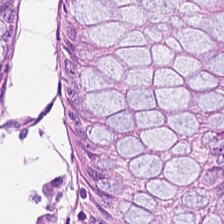H&E-stained tissue section.
Q: What is shown here?
A: Benign colonic mucosa.
